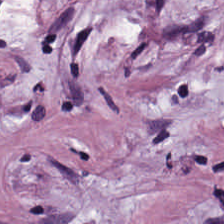0.5 µm per pixel; H&E stain; brightfield — Q: What is shown here?
A: This is cancer-associated stroma.
